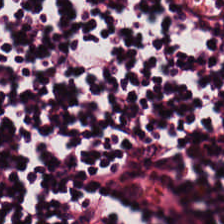Hematoxylin-and-eosin stained section.
{"tissue_type": "lymphoid infiltrate"}
